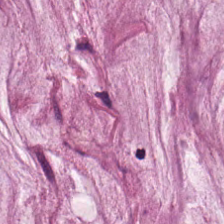H&E-stained tissue section. Formalin-fixed paraffin-embedded section.
Q: What is the predominant tissue type?
A: Extracellular mucin.
